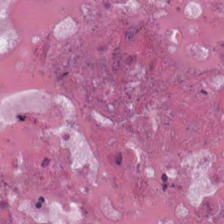Hematoxylin and eosin — Showing debris.
